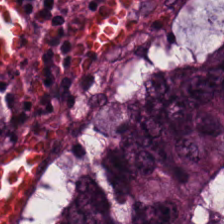H&E stain. Tissue = adenocarcinoma.
